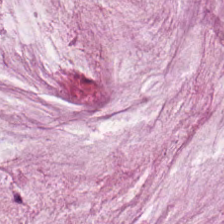Hematoxylin-and-eosin stained section. Mucin.
